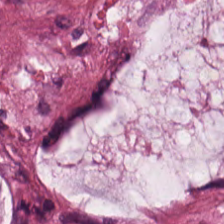Showing mucus.
